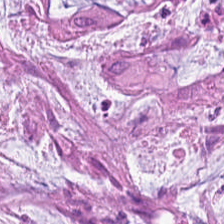H&E-stained section; the field shows mucus.
